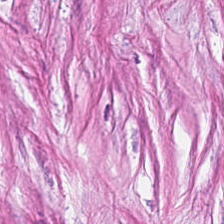Hematoxylin-and-eosin stained section.
Showing tumor stroma.
